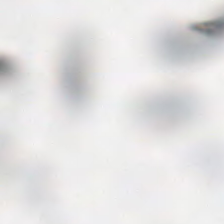Background — no tissue in this field.
